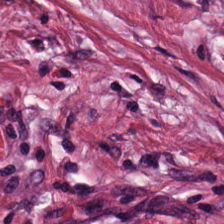H&E-stained tissue section · 0.5 microns per pixel · formalin-fixed paraffin-embedded section — Tissue class = desmoplastic stroma.
